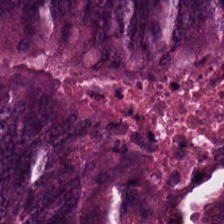H&E-stained tissue section.
Finding → colorectal adenocarcinoma.
